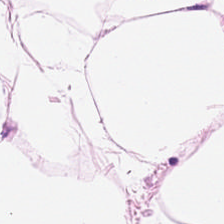Finding → fat tissue.
